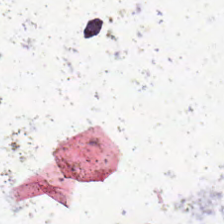H&E-stained tissue section — No tissue present; background only.
